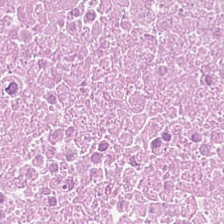Formalin-fixed paraffin-embedded section. 0.5 µm per pixel. H&E. Q: What does this patch show?
A: This is necrotic debris.
